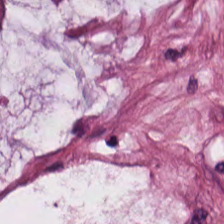Stain: H&E.
Classification: mucin.
